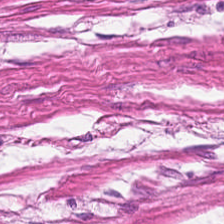{"tissue_type": "muscularis"}
